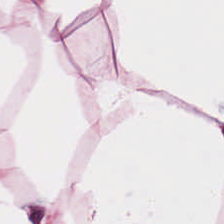Hematoxylin and eosin.
This patch shows fat tissue.
